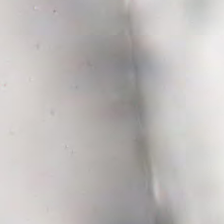H&E-stained tissue section. Finding — background (no tissue).
